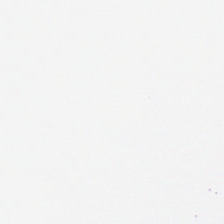Brightfield; H&E; 224×224 pixel tile. No tissue.
